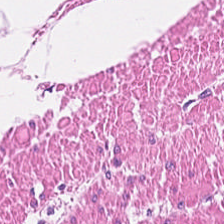Stain: hematoxylin-and-eosin stained section.
Classification: muscularis.
